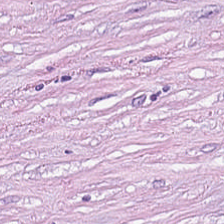224×224 px tile; H&E; whole-slide-image patch.
The classification is cancer-associated stroma.
